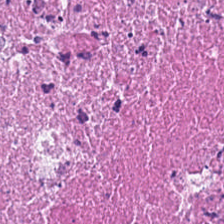Hematoxylin and eosin — Cellular debris.
